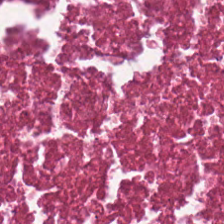Stain: hematoxylin-and-eosin stained section.
Tile size: 224×224 pixel tile.
Classification: debris.
